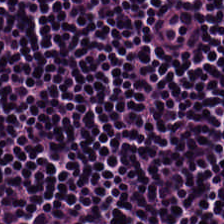Hematoxylin-and-eosin stained section — {"tissue_type": "lymphocytes"}
